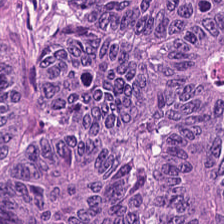This field is tumor epithelium.
